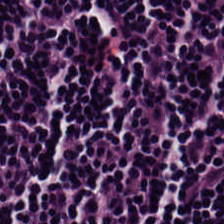Hematoxylin-and-eosin stained section.
Finding — lymphocyte aggregate.
